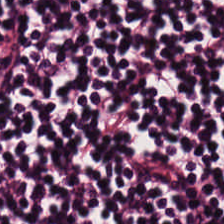H&E stain.
The classification is lymphocytes.
